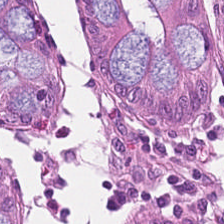Finding → normal colonic mucosa.
